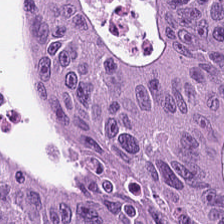H&E-stained tissue section. FFPE tissue section. Brightfield microscopy.
Finding → colorectal adenocarcinoma epithelium.
